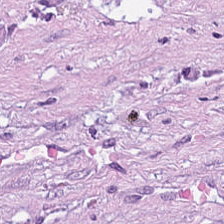Whole-slide-image patch; H&E-stained tissue section. The tissue here is cancer-associated stroma.
